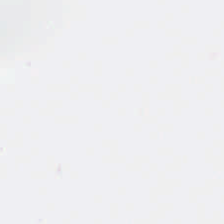Hematoxylin-and-eosin stained section. Histology → background.
